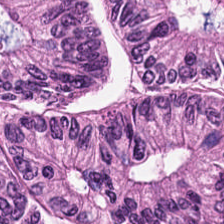H&E-stained tissue section. Colorectal adenocarcinoma epithelium.
